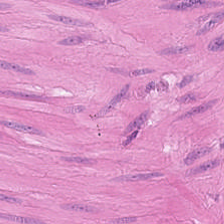Stain: H&E stain.
Tissue class: smooth muscle.
